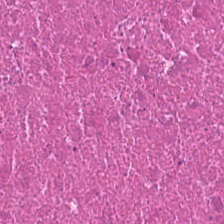The tissue type is cellular debris.
